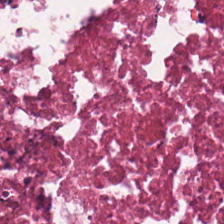Histology → necrotic debris.
